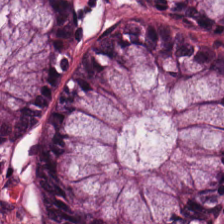Hematoxylin-and-eosin stained section. FFPE tissue section. Non-neoplastic colon mucosa.
